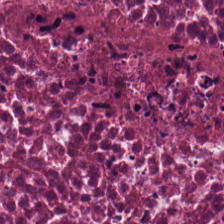H&E stain.
Impression → cellular debris.
